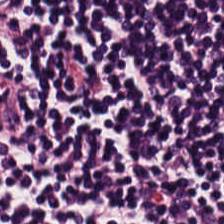H&E-stained tissue section showing lymphocyte aggregate.
